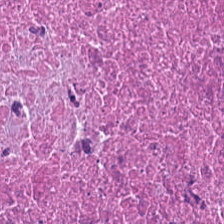Brightfield; FFPE; hematoxylin-and-eosin stained section — Classification: debris.
